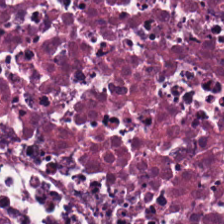H&E stain.
Predominant tissue = necrotic debris.
